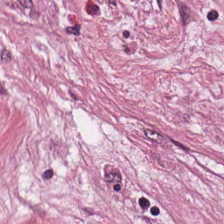FFPE; 224×224 px patch; hematoxylin-and-eosin stained section — Tissue class — tumor stroma.
